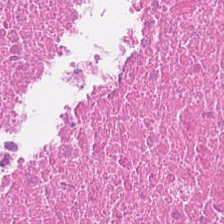224×224 px patch · brightfield · hematoxylin and eosin.
This field is cellular debris.
